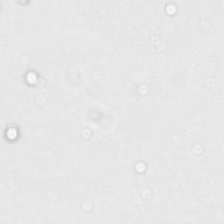This patch shows empty background.
